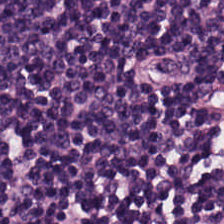H&E stain — Q: What tissue is shown?
A: Lymphocytic infiltrate.
